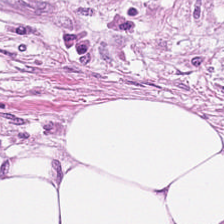FFPE tissue section · H&E stain · brightfield microscopy — {"tissue_type": "cancer-associated stroma"}
